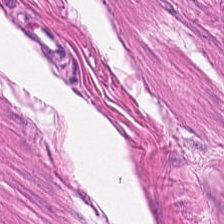Tissue class: muscularis.
